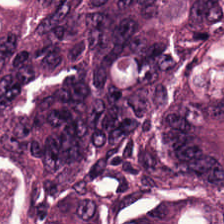224×224 px tile; FFPE tissue section; H&E-stained tissue section. Finding — tumor epithelium.
